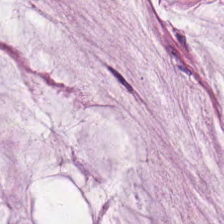Hematoxylin and eosin. Mucin.
